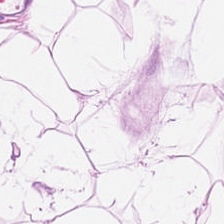Hematoxylin-and-eosin stained section — Showing adipose.
